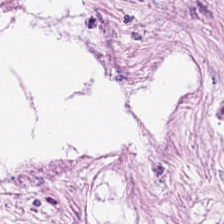The tissue type is desmoplastic stroma.
